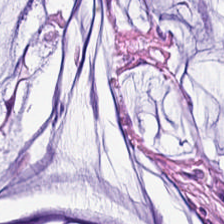Formalin-fixed paraffin-embedded section; H&E stain — Tissue class — mucus.
